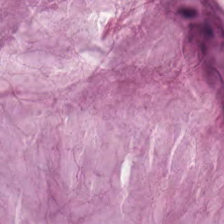224×224 px patch · H&E.
Showing mucin.
